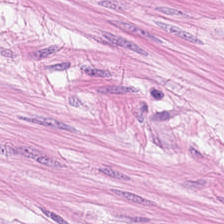Q: Classify this patch.
A: This is smooth-muscle tissue.
